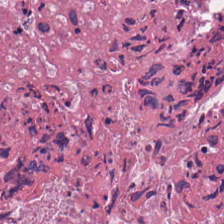Q: What is shown here?
A: It is debris.
